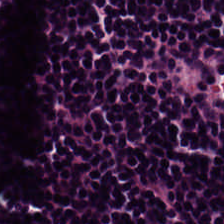H&E — The predominant tissue is lymphocyte aggregate.
